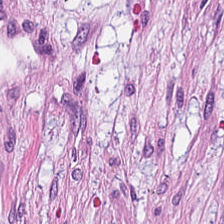H&E.
Tissue type = tumor-associated stroma.
